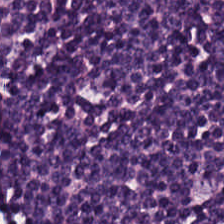Hematoxylin-and-eosin stained section; 224×224 px patch. Q: Identify the tissue.
A: It is lymphocyte aggregate.
